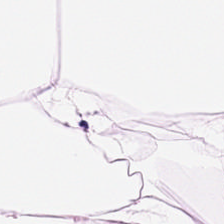The tissue type is adipose tissue.
